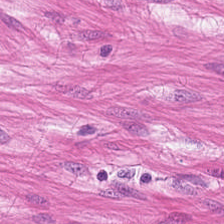Stain: hematoxylin-and-eosin stained section.
Tissue class: muscularis.
